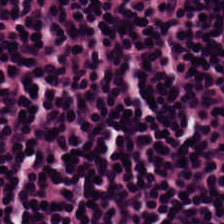Hematoxylin-and-eosin stained section.
Impression → lymphocytic infiltrate.
